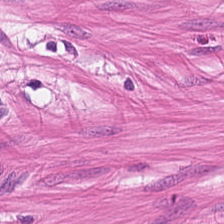Tissue class: smooth muscle.
